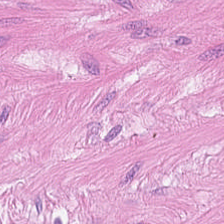0.5 µm per pixel; hematoxylin-and-eosin stained section.
Q: What is shown in this field?
A: This is muscularis.
